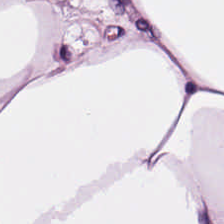FFPE; hematoxylin and eosin; 224×224 px patch — The tissue here is adipocytes.
